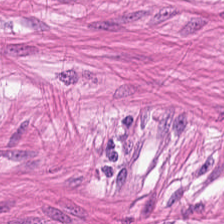Hematoxylin-and-eosin stained section.
Showing muscularis.
